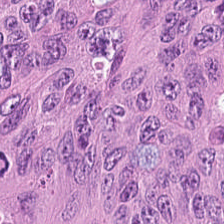H&E; FFPE — Tissue type: colorectal adenocarcinoma epithelium.
